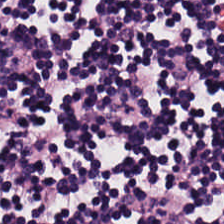H&E stain — Lymphocytic infiltrate.
